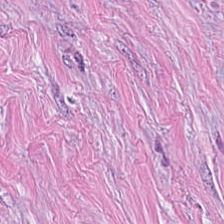Hematoxylin-and-eosin stained section. The predominant tissue is cancer-associated stroma.
